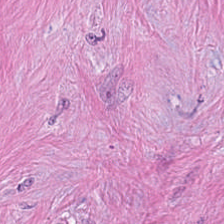H&E stain.
{"tissue_type": "tumor stroma"}
